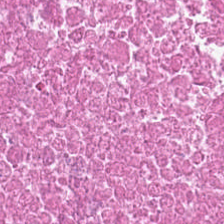H&E-stained tissue section · 20× equivalent magnification. This patch shows necrotic debris.
